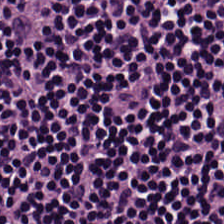Tissue — lymphocytic infiltrate.
